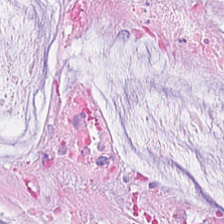0.5 µm/px · hematoxylin and eosin — Tissue type — mucus.
